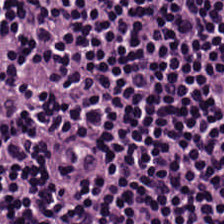224×224 px patch. H&E-stained tissue section. The tissue here is lymphocytic infiltrate.
